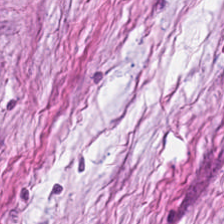Hematoxylin-and-eosin section: cancer-associated stroma.
